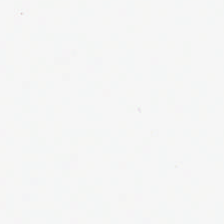Stain: H&E.
Content: no tissue.
